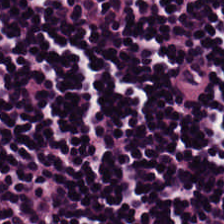H&E stain.
Tissue: lymphocytic infiltrate.
